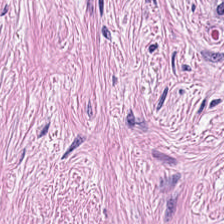Stain: H&E stain.
Tissue: tumor stroma.
